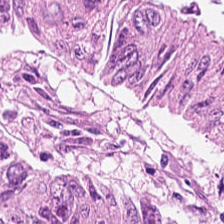Stain: H&E.
Classification: malignant epithelium.
